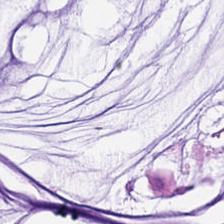H&E stain. Brightfield microscopy. This field is mucus.
